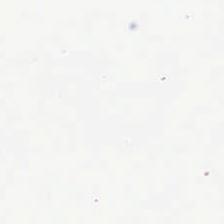Histology — no tissue.
